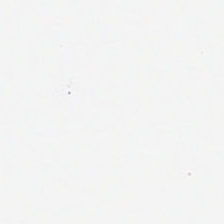Q: What does this patch show?
A: Empty background.
